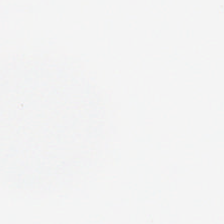Q: What is shown here?
A: This is empty background.
